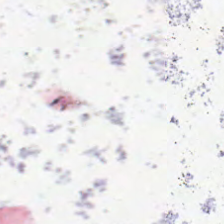FFPE · H&E.
No tissue present; background only.
